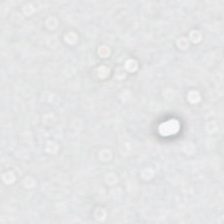H&E-stained tissue section. Q: What does this patch show?
A: Empty background.
